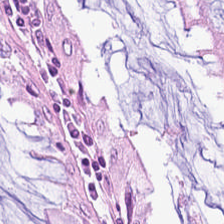0.5 µm per pixel. Hematoxylin-and-eosin stained section.
Predominantly normal colon mucosa.
